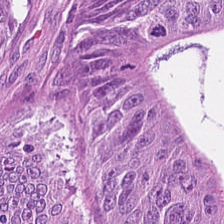H&E patch showing malignant epithelium.
